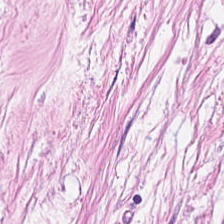Q: Classify this patch.
A: This is tumor-associated stroma.
